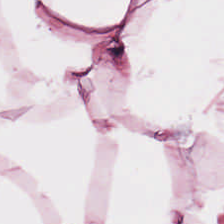224×224 px tile · FFPE · hematoxylin and eosin.
Impression → adipose.
